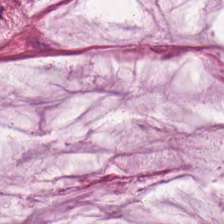Brightfield; H&E-stained tissue section. The classification is mucin.
